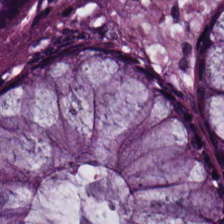Hematoxylin-and-eosin stained section; formalin-fixed paraffin-embedded section. Predominant tissue: non-neoplastic colon mucosa.
